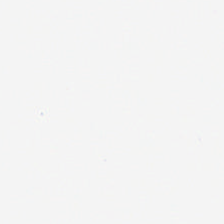H&E-stained tissue section — Q: What does this patch show?
A: This is no tissue.
